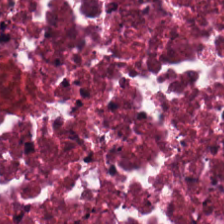H&E-stained tissue section. This field is debris.
